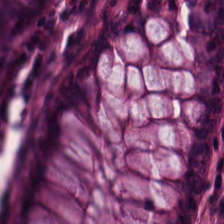H&E stain — This patch shows non-neoplastic colon mucosa.
